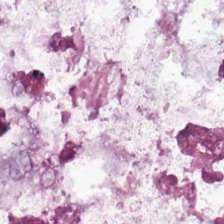Formalin-fixed paraffin-embedded section; H&E-stained tissue section. Extracellular mucin.
